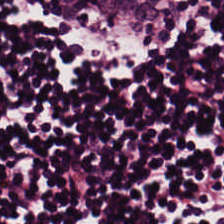Hematoxylin-and-eosin stained section; 224×224 px tile — Q: What tissue type is shown here?
A: Lymphocytes.
